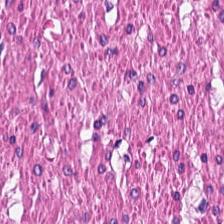Hematoxylin-and-eosin stained section — Tissue = smooth-muscle tissue.
